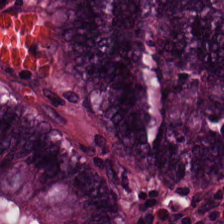FFPE; H&E — This field is benign colonic mucosa.
